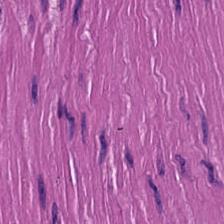Q: What tissue is shown?
A: Muscularis.
